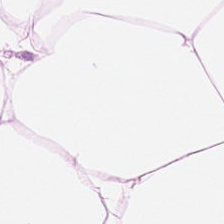Q: What is shown in this field?
A: Adipose.
